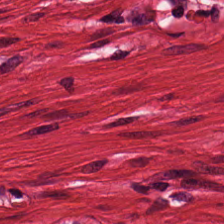H&E. {"tissue_type": "muscularis"}
